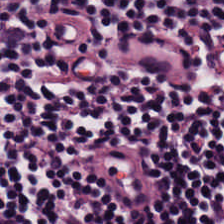H&E — Classification — lymphocytic infiltrate.
